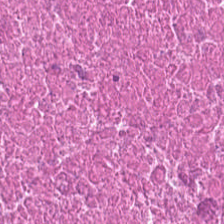Hematoxylin and eosin. WSI patch. Formalin-fixed paraffin-embedded section. {"tissue_type": "debris"}
